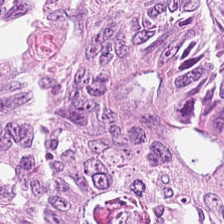H&E stain. Predominantly tumor epithelium.
